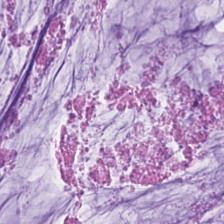H&E stain. {"tissue_type": "mucin"}
